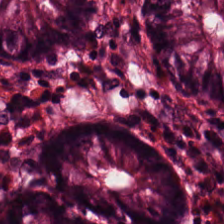Hematoxylin and eosin; 20× equivalent magnification. Tissue class = non-neoplastic colon mucosa.
